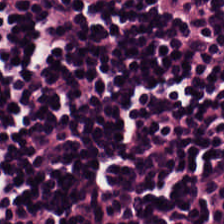Brightfield microscopy. Hematoxylin and eosin — The predominant tissue is lymphocytes.
